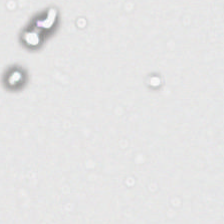Whole-slide-image patch · H&E — Q: What is shown in this field?
A: Empty background.
